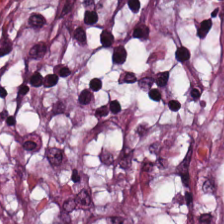224×224 px patch; hematoxylin-and-eosin stained section.
Classification — desmoplastic stroma.
